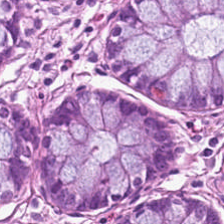H&E-stained tissue section showing non-neoplastic colon mucosa.
